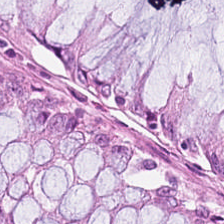Hematoxylin-and-eosin stained section. This field is normal colon mucosa.
